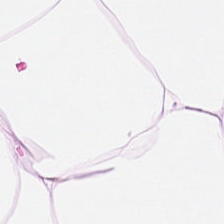The tissue is adipose tissue.
